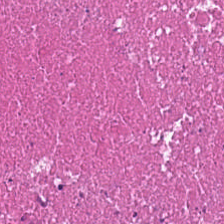Histology — cellular debris.
